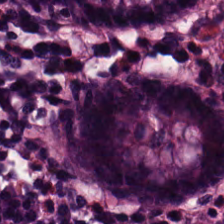H&E-stained tissue section. Q: What is shown here?
A: Benign colonic mucosa.
